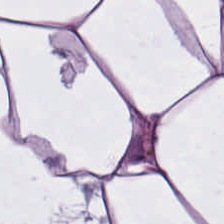H&E-stained tissue section.
Tissue = adipose.
